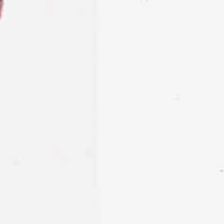FFPE. 224×224 px patch. H&E stain — Q: What does this patch show?
A: It is background.
